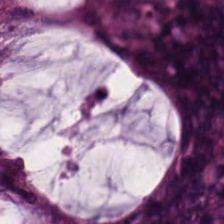Stain: hematoxylin-and-eosin stained section.
Tissue type: colorectal adenocarcinoma.
